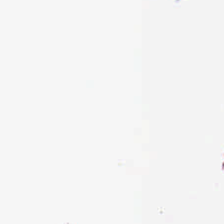H&E stain — Q: What does this patch show?
A: The field shows background.
